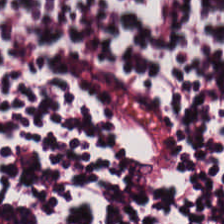H&E stain. Impression — lymphocytic infiltrate.
